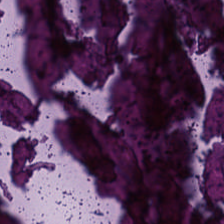Histology — necrotic debris.
